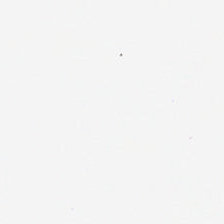This field is background (no tissue).
